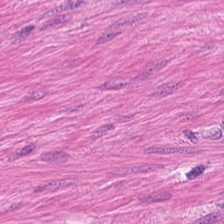224×224 px patch · H&E-stained tissue section. This patch shows smooth muscle.
